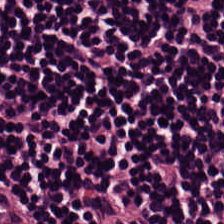0.5 µm per pixel; H&E-stained tissue section.
This patch shows lymphoid infiltrate.
